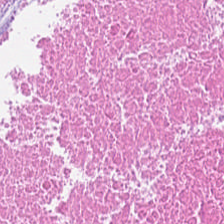FFPE · H&E stain. Q: What is shown here?
A: The field shows debris.
